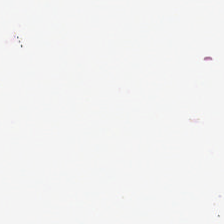Hematoxylin-and-eosin stained section. The content is no tissue.
